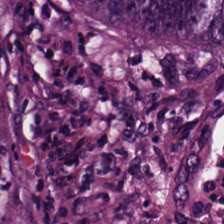0.5 microns per pixel; H&E stain. Tissue type — colorectal adenocarcinoma.
